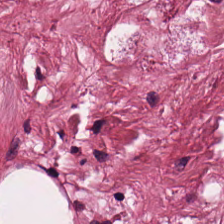H&E stain · 0.5 µm per pixel · FFPE tissue section.
Cancer-associated stroma.
